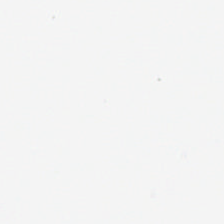Q: What is shown in this field?
A: Empty background.
